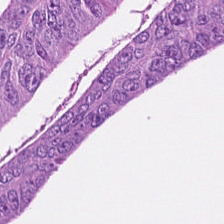224×224 px tile · H&E stain · whole-slide-image patch. Tissue = colorectal adenocarcinoma.
